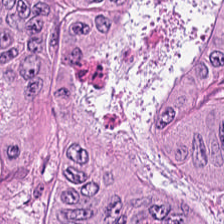H&E stain · 224×224 pixel tile — Predominantly colorectal adenocarcinoma epithelium.
